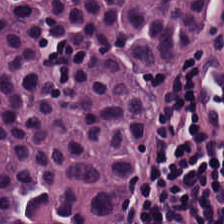The tissue is lymphocyte aggregate.
